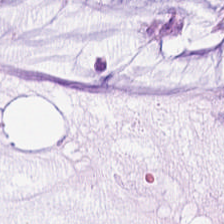H&E. 224×224 px tile — {"tissue_type": "extracellular mucin"}
